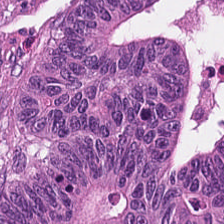Impression → tumor epithelium.
